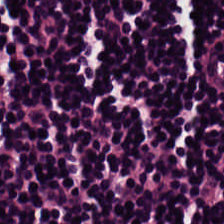Finding → lymphocytes.
